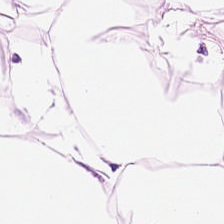H&E. 224×224 px patch. Predominant tissue = adipose tissue.
